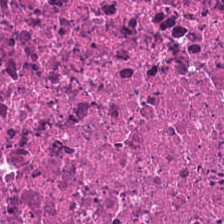Hematoxylin-and-eosin stained section.
This patch shows debris.
